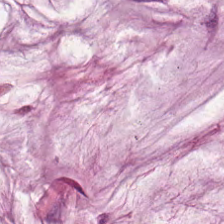H&E stain.
This field is mucus.
